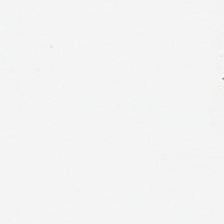Hematoxylin-and-eosin stained section. Background — no tissue in this field.
